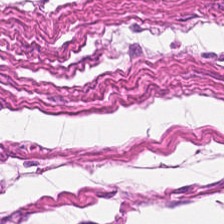Hematoxylin-and-eosin section: muscularis.
